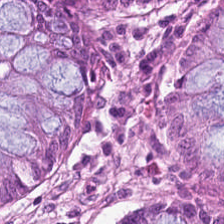Q: What type of tissue is this?
A: The field shows normal colon mucosa.
